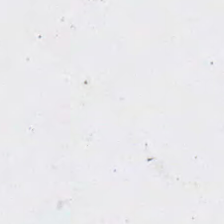The content is background (no tissue).
